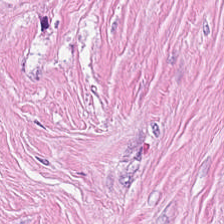H&E. Classification = tumor stroma.
